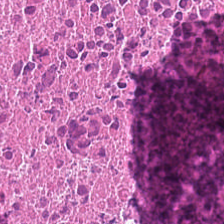Impression → cellular debris.
